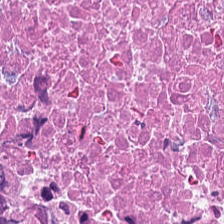The tissue is cellular debris.
